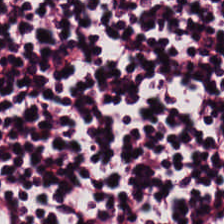H&E-stained tissue section.
Q: Classify this patch.
A: This is lymphocytes.
